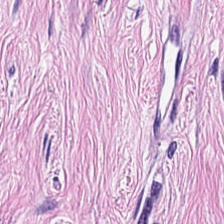0.5 µm/px; H&E stain. {"tissue_type": "cancer-associated stroma"}
